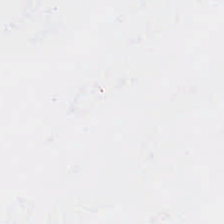0.5 µm per pixel. Hematoxylin-and-eosin stained section. The field content is background.
